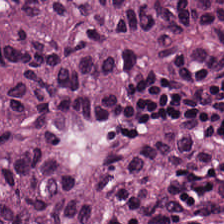0.5 µm/px; hematoxylin-and-eosin stained section — Q: What is shown here?
A: Malignant epithelium.
